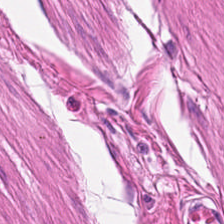H&E stain.
Finding — smooth-muscle tissue.
